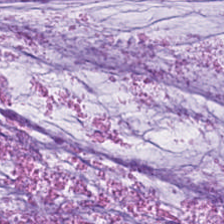Stain: H&E.
Resolution: 20× equivalent magnification.
Tissue class: extracellular mucin.
